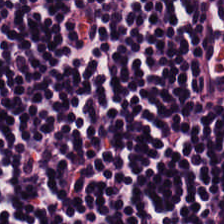Finding — lymphocytes.
